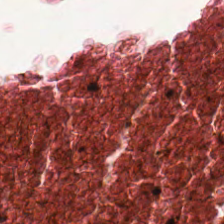H&E; brightfield microscopy.
Classification — necrotic debris.
